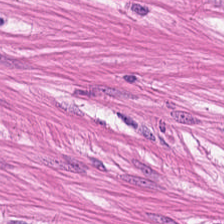Hematoxylin and eosin. FFPE. 224×224 px tile — The predominant tissue is muscularis.
